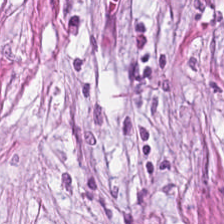Hematoxylin-and-eosin stained section — Showing tumor-associated stroma.
